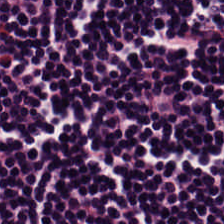H&E-stained tissue section; 0.5 microns per pixel. Histology — lymphocytes.
